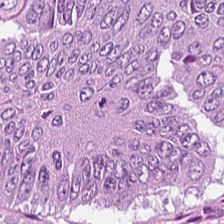Whole-slide-image patch. H&E. 224×224 px patch — This patch shows colorectal adenocarcinoma.
